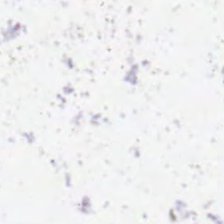224×224 px patch. H&E-stained tissue section.
This field is background (no tissue).
